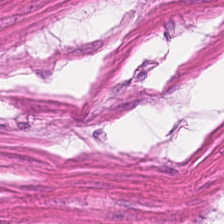Hematoxylin and eosin · 224×224 pixel tile. Classification: muscularis.
